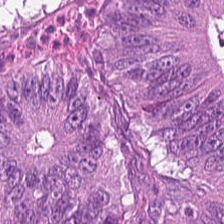Predominant tissue: colorectal adenocarcinoma.
